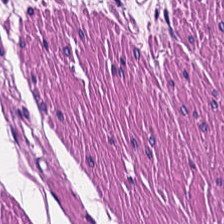Impression → smooth muscle.
